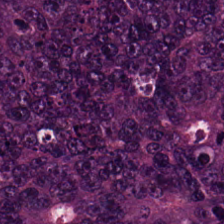Stain: H&E.
Tile size: 224×224 pixel tile.
Tissue type: colorectal adenocarcinoma.
